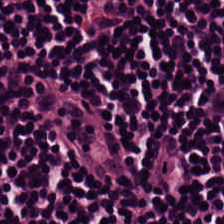0.5 µm per pixel; whole-slide-image patch; H&E stain. Lymphocytic infiltrate.
